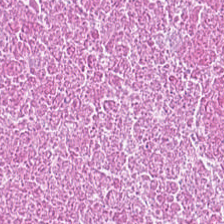Hematoxylin-and-eosin stained section. WSI patch. 224×224 pixel tile.
The predominant tissue is debris.
